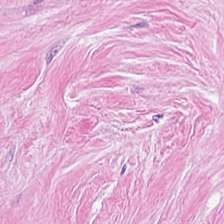The predominant tissue is desmoplastic stroma.
